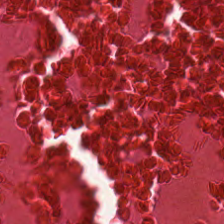H&E stain.
Histology — cellular debris.
